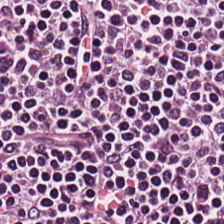Stain: H&E-stained tissue section.
Tissue type: lymphocyte aggregate.
